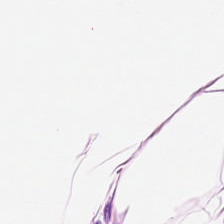H&E-stained tissue section · 224×224 pixel tile.
The predominant tissue is adipose.
